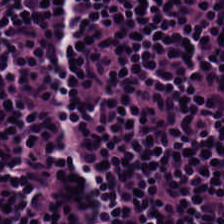Hematoxylin and eosin — Lymphocytes.
